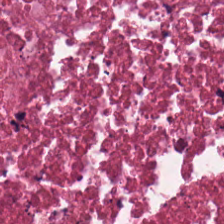0.5 µm/px · H&E · brightfield — Predominantly debris.
